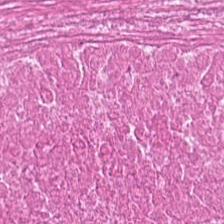Stain: H&E stain.
Tile size: 224×224 px patch.
Resolution: 20× equivalent magnification.
Tissue class: debris.
